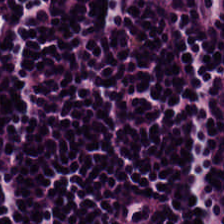Hematoxylin-and-eosin stained section · brightfield.
The tissue type is lymphocytes.
